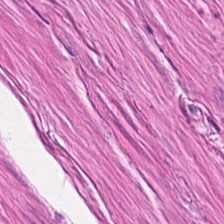0.5 microns per pixel · H&E-stained tissue section · FFPE tissue section.
Showing smooth muscle.
